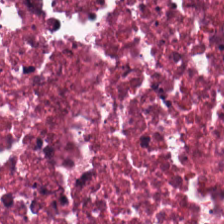Hematoxylin and eosin.
Predominantly cellular debris.
